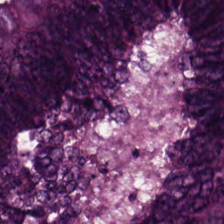H&E-stained tissue section; FFPE.
Q: What type of tissue is this?
A: It is malignant epithelium.
